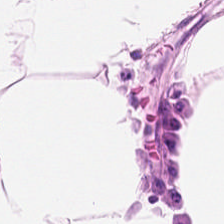Brightfield microscopy; H&E-stained tissue section. Adipose tissue.
